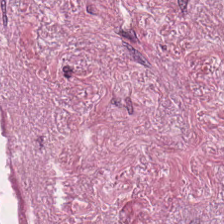H&E.
The tissue class is desmoplastic stroma.
